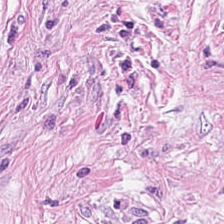H&E; WSI patch.
Showing desmoplastic stroma.
